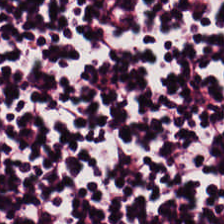Hematoxylin and eosin. {"tissue_type": "lymphocyte aggregate"}
